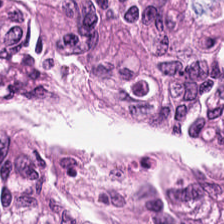H&E stain.
This patch shows colorectal adenocarcinoma.
